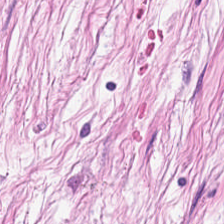Hematoxylin-and-eosin stained section. Tissue type = desmoplastic stroma.
